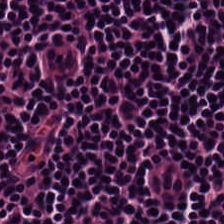Stain: hematoxylin-and-eosin stained section.
Tissue: lymphocytes.
